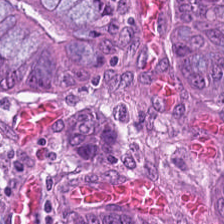Stain: H&E.
Tissue type: adenocarcinoma.
